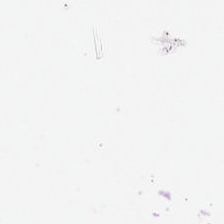FFPE tissue section · hematoxylin and eosin. Background — no tissue in this field.
